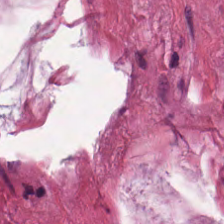Hematoxylin and eosin; 0.5 µm/px; 224×224 px tile — Q: What does this patch show?
A: The field shows mucin.
